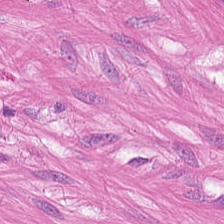Hematoxylin and eosin · whole-slide-image patch.
The tissue here is muscularis.
